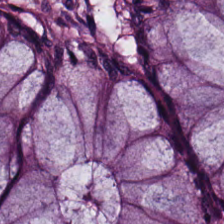The tissue here is normal colon mucosa.
